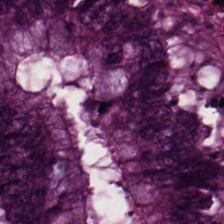224×224 px tile; brightfield microscopy; H&E-stained tissue section.
Tissue: normal colonic mucosa.
